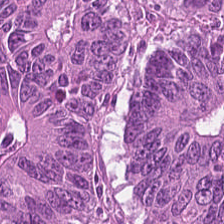20× equivalent magnification · hematoxylin-and-eosin stained section. Tissue class — tumor epithelium.
